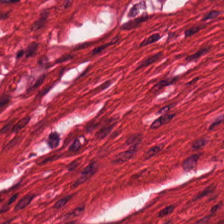Hematoxylin and eosin — Q: What is shown here?
A: Smooth-muscle tissue.
